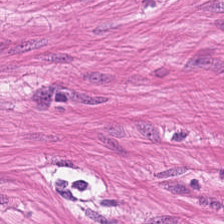0.5 µm/px · H&E-stained tissue section — This patch shows smooth-muscle tissue.
